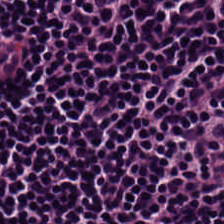H&E-stained tissue section. The predominant tissue is lymphocytic infiltrate.
